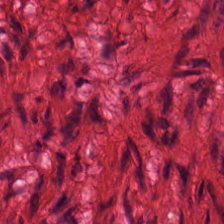Hematoxylin and eosin; FFPE tissue section; 224×224 px tile.
The tissue is muscularis.
